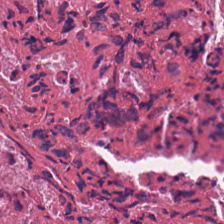H&E — Showing necrotic debris.
